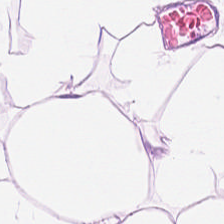H&E — adipose tissue.
